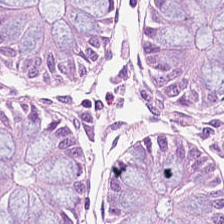Stain: hematoxylin-and-eosin stained section.
Tissue type: non-neoplastic colon mucosa.
